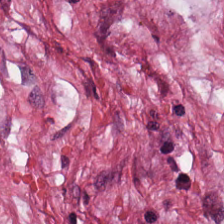Formalin-fixed paraffin-embedded section · 224×224 pixel tile · hematoxylin-and-eosin stained section. This field is tumor stroma.
